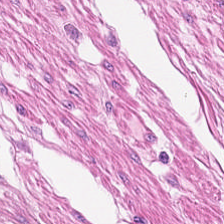Hematoxylin-and-eosin section: smooth muscle.
